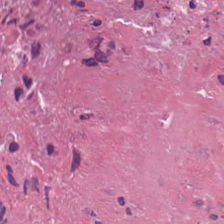FFPE tissue section. Hematoxylin-and-eosin stained section — Cellular debris.
